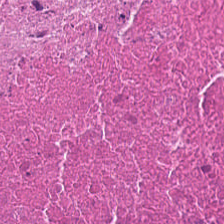Q: What is shown in this field?
A: The field shows necrotic debris.
